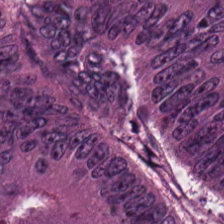Hematoxylin-and-eosin stained section.
Classification: adenocarcinoma.
